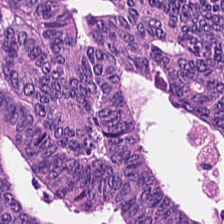Hematoxylin and eosin — The predominant tissue is malignant epithelium.
